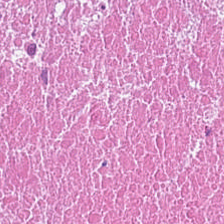224×224 px patch; brightfield; H&E. Predominant tissue — cellular debris.
